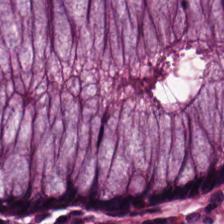Q: What does this patch show?
A: It is benign colonic mucosa.
